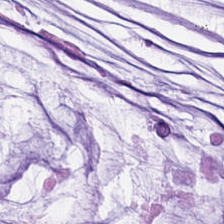224×224 pixel tile; H&E stain. Tissue type — extracellular mucin.
